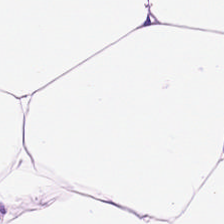Hematoxylin-and-eosin stained section.
Q: Classify this patch.
A: This is fat tissue.
